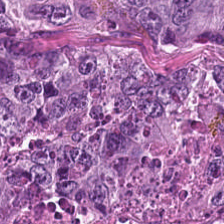H&E; brightfield microscopy — Q: What is shown here?
A: Colorectal adenocarcinoma epithelium.
